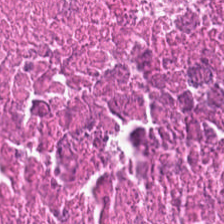H&E-stained tissue section.
This patch shows necrotic debris.
